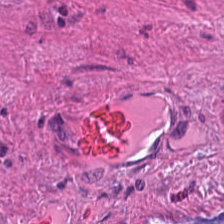H&E stain — The tissue here is mucus.
